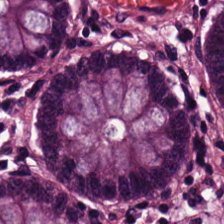Stain: H&E.
Acquisition: WSI patch.
Resolution: 0.5 microns per pixel.
Predominant tissue: normal colonic mucosa.
